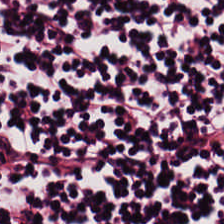Hematoxylin-and-eosin stained section; brightfield microscopy. The classification is lymphocytic infiltrate.
